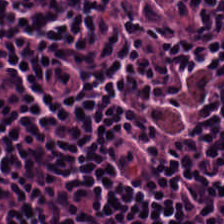20× equivalent magnification. H&E-stained tissue section — Predominantly lymphoid infiltrate.
